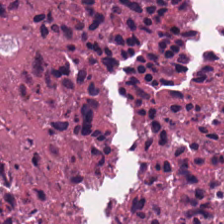Stain: H&E.
Acquisition: brightfield.
Preparation: FFPE tissue section.
Classification: cellular debris.
